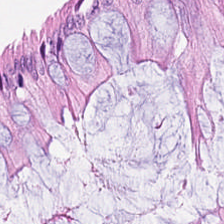Stain: hematoxylin and eosin.
Preparation: FFPE tissue section.
Tile size: 224×224 px tile.
Classification: non-neoplastic colon mucosa.
